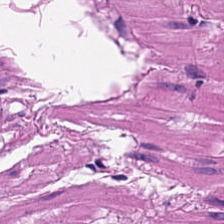Q: What is shown here?
A: It is smooth muscle.
